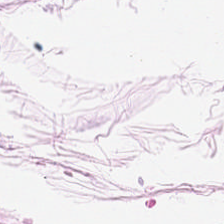224×224 px patch. FFPE. Hematoxylin and eosin — {"tissue_type": "adipose tissue"}
